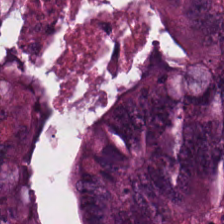FFPE tissue section; H&E — The predominant tissue is malignant epithelium.
